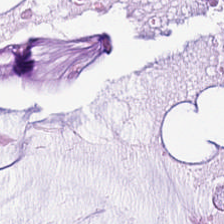Hematoxylin-and-eosin stained section. Q: What does this patch show?
A: It is mucin.
